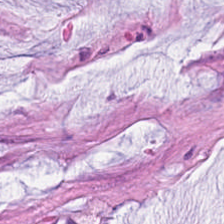Hematoxylin and eosin — The tissue here is mucus.
